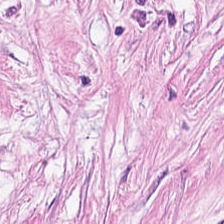H&E stain. Showing tumor-associated stroma.
